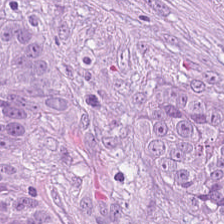Q: What is shown here?
A: The field shows tumor epithelium.
